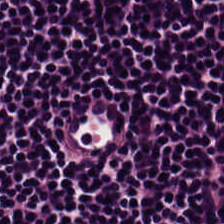Stain: H&E.
Preparation: FFPE tissue section.
Classification: lymphocytic infiltrate.
